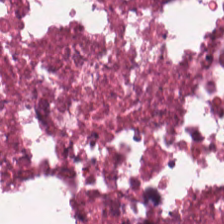Formalin-fixed paraffin-embedded section · hematoxylin-and-eosin stained section. Q: What tissue type is shown here?
A: This is cellular debris.
